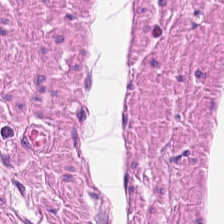Stain: H&E-stained tissue section.
Resolution: 0.5 µm/px.
Tissue type: muscularis.
